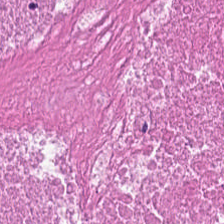H&E-stained tissue section.
Finding — debris.
